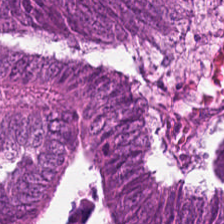Hematoxylin-and-eosin stained section. 224×224 pixel tile. FFPE tissue section.
The tissue here is colorectal adenocarcinoma.
